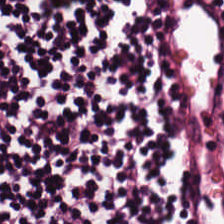H&E-stained tissue section; FFPE. Tissue class — lymphocytic infiltrate.
